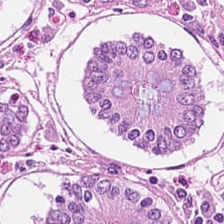Stain: H&E stain.
Tissue class: normal colonic mucosa.
